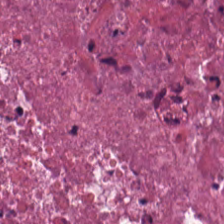H&E stain.
Q: What type of tissue is this?
A: This is necrotic debris.
